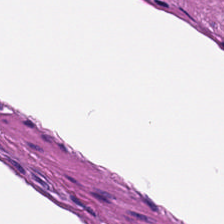Stain: hematoxylin and eosin.
Preparation: FFPE tissue section.
Classification: smooth muscle.
